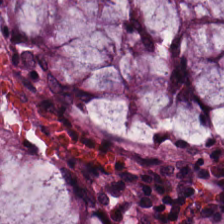H&E. 0.5 µm/px. Brightfield microscopy. Predominantly benign colonic mucosa.
